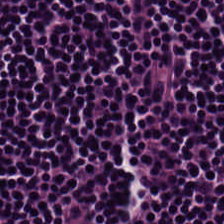Hematoxylin and eosin. Histology → lymphocytic infiltrate.
